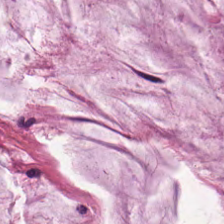Q: What tissue type is shown here?
A: It is mucus.
